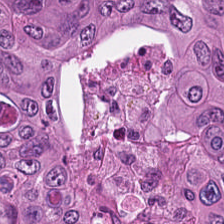{"tissue_type": "malignant epithelium"}
